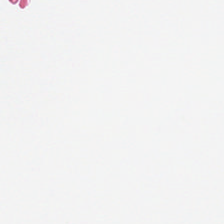This field is background (no tissue).
